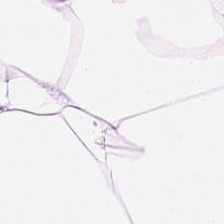Hematoxylin-and-eosin stained section. Q: What type of tissue is this?
A: This is fat tissue.
